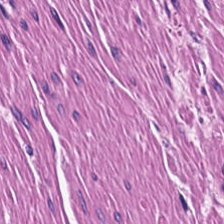H&E stain; brightfield microscopy; 20× equivalent magnification. Classification: smooth muscle.
